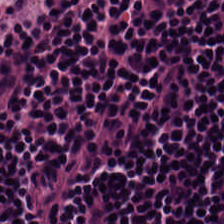20× equivalent magnification; H&E stain.
Lymphocyte aggregate.
